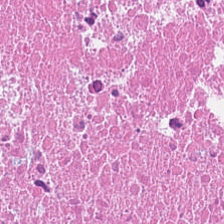H&E. FFPE. 224×224 px tile — Predominantly debris.
